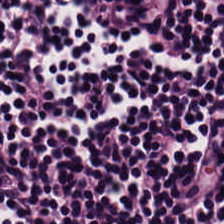H&E.
Tissue class: lymphocytes.
